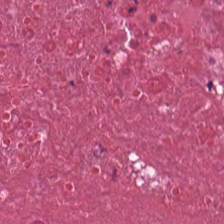Showing debris.
